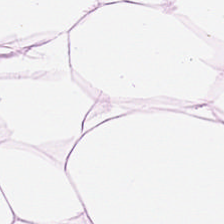H&E.
Q: What tissue type is shown here?
A: Fat tissue.
